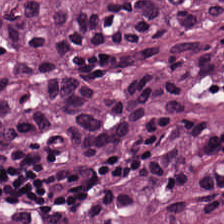Hematoxylin-and-eosin stained section. Q: Classify this patch.
A: It is colorectal adenocarcinoma.
